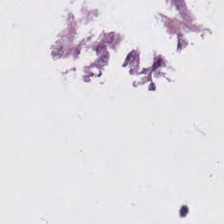Hematoxylin-and-eosin stained section.
Q: What is shown in this field?
A: It is no tissue.
